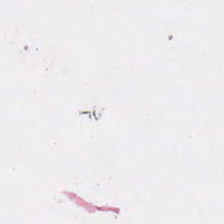Stain: hematoxylin-and-eosin stained section.
Field content: background (no tissue).
